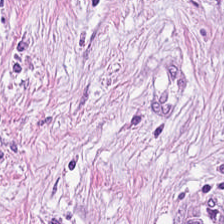Classification — cancer-associated stroma.
